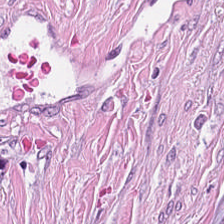Hematoxylin-and-eosin stained section — The tissue is desmoplastic stroma.
